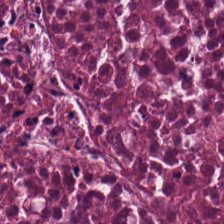20× equivalent magnification; H&E; FFPE — Impression — cellular debris.
